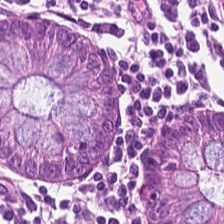20× equivalent magnification. Brightfield. H&E stain.
Q: Identify the tissue.
A: The field shows normal colonic mucosa.
